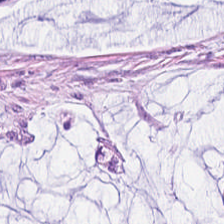H&E stain — Showing mucus.
